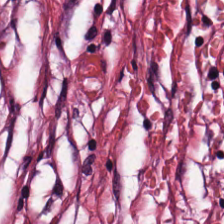H&E stain. Classification = tumor stroma.
